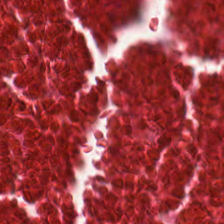Stain: hematoxylin-and-eosin stained section.
Predominant tissue: debris.
